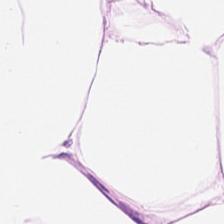H&E-stained tissue section. Predominantly fat tissue.
